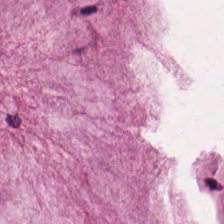H&E stain; brightfield microscopy. Mucus.
